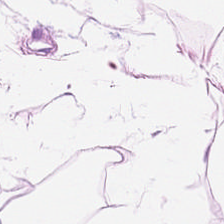Stain: H&E stain.
Predominant tissue: adipocytes.
